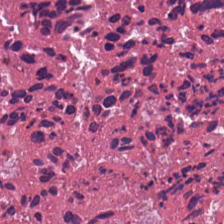Stain: H&E-stained tissue section.
Tile size: 224×224 pixel tile.
Tissue type: necrotic debris.
